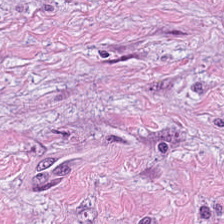H&E-stained tissue section. The tissue is tumor-associated stroma.
